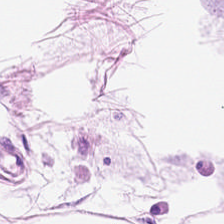Tissue class = fat tissue.
